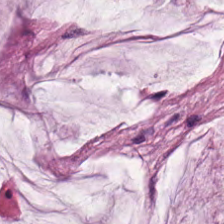H&E stain.
Predominant tissue — mucus.
